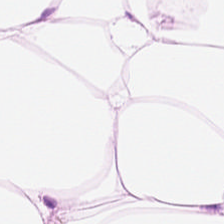H&E. Whole-slide-image patch. FFPE tissue section.
Impression — fat tissue.
